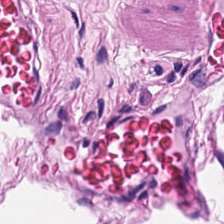Tissue type — smooth-muscle tissue.
